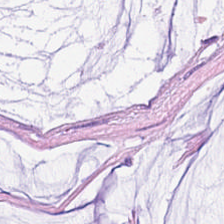0.5 µm per pixel; H&E-stained tissue section — Predominantly mucin.
